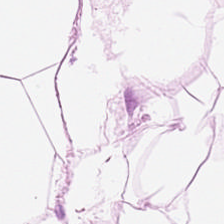H&E — This patch shows adipose tissue.
